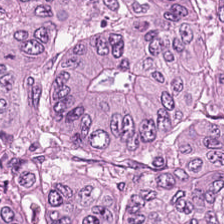H&E — Tissue — malignant epithelium.
